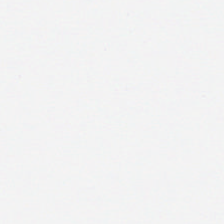Hematoxylin-and-eosin stained section — Q: What is shown in this field?
A: Background (no tissue).
